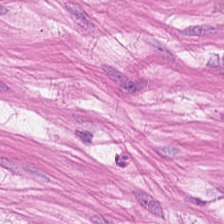Formalin-fixed paraffin-embedded section; 0.5 µm/px; H&E-stained tissue section.
Predominant tissue = muscularis.
